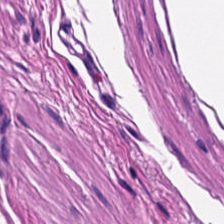Hematoxylin and eosin.
This patch shows smooth-muscle tissue.
